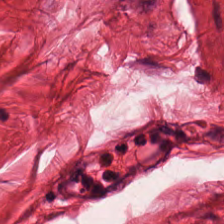Whole-slide-image patch. FFPE tissue section. H&E stain. This patch shows smooth-muscle tissue.
